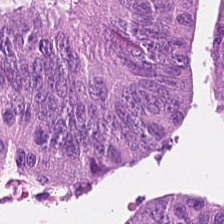Tissue — tumor epithelium.
